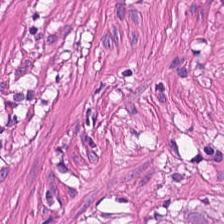Hematoxylin-and-eosin stained section.
Smooth-muscle tissue.
